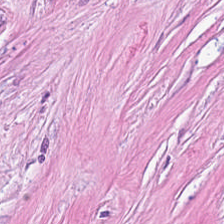FFPE; hematoxylin and eosin.
Q: Classify this patch.
A: Desmoplastic stroma.
